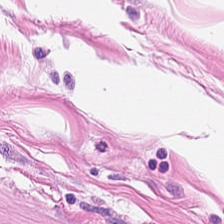H&E · FFPE tissue section.
Q: What is shown here?
A: This is muscularis.
